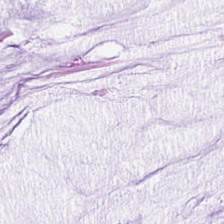Hematoxylin-and-eosin stained section.
Mucin.
